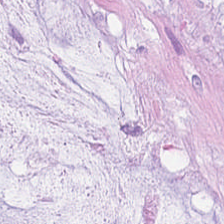Formalin-fixed paraffin-embedded section. Hematoxylin and eosin. 0.5 microns per pixel.
Predominant tissue: mucin.
